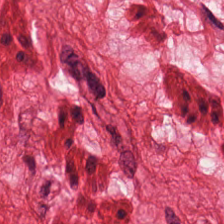224×224 px patch; H&E. This patch shows muscularis.
